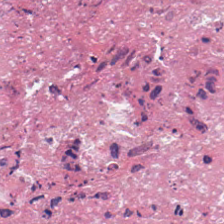Hematoxylin-and-eosin stained section · formalin-fixed paraffin-embedded section — Debris.
